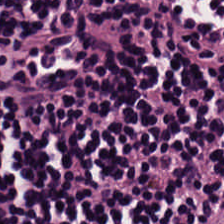Hematoxylin-and-eosin stained section.
Predominant tissue = lymphocytic infiltrate.
